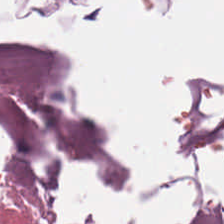Formalin-fixed paraffin-embedded section; hematoxylin-and-eosin stained section. Finding — adipose tissue.
